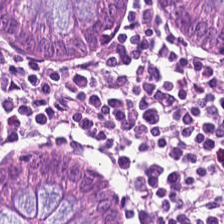Tissue class = normal colonic mucosa.
